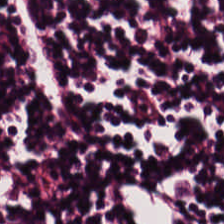H&E; 224×224 px patch.
This field is lymphocytic infiltrate.
